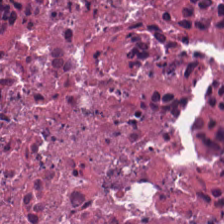H&E. FFPE. 0.5 microns per pixel.
The classification is necrotic debris.
